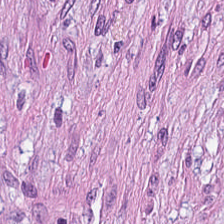Impression — tumor-associated stroma.
